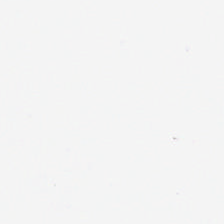Hematoxylin-and-eosin stained section; 0.5 microns per pixel; whole-slide-image patch. Q: What does this patch show?
A: This is empty background.
